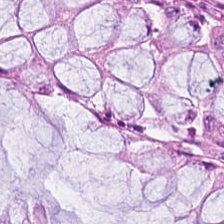H&E-stained section; the field shows normal colon mucosa.
